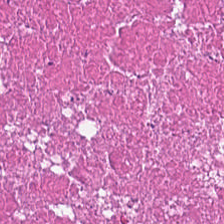Stain: hematoxylin-and-eosin stained section.
Tissue: cellular debris.
